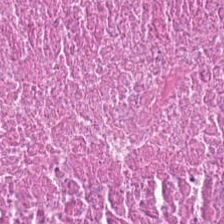224×224 px patch; H&E stain.
The tissue here is cellular debris.
